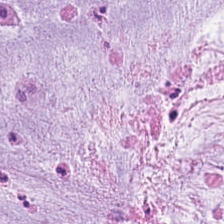H&E-stained tissue section; 0.5 µm/px; FFPE tissue section — This patch shows extracellular mucin.
